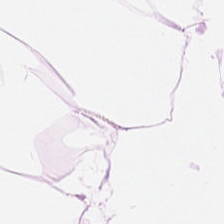Hematoxylin-and-eosin stained section. This field is fat tissue.
